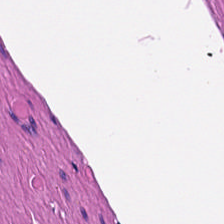H&E-stained tissue section. Predominantly muscularis.
